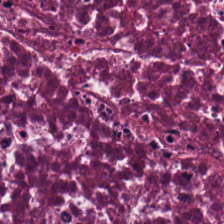Hematoxylin-and-eosin stained section. 224×224 px tile — This patch shows cellular debris.
